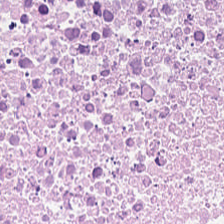Hematoxylin-and-eosin stained section. 224×224 pixel tile. {"tissue_type": "debris"}
